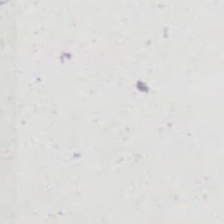H&E stain.
Field content = no tissue.
